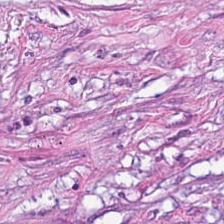224×224 pixel tile. Hematoxylin and eosin — Predominant tissue: cancer-associated stroma.
